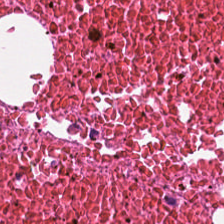20× equivalent magnification · H&E-stained tissue section.
Impression — cellular debris.
